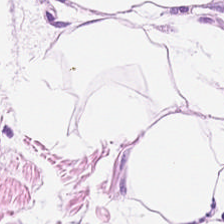WSI patch. H&E — This field is adipose tissue.
